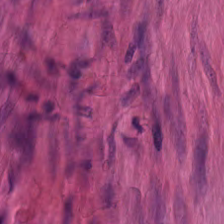Predominant tissue: smooth muscle.
